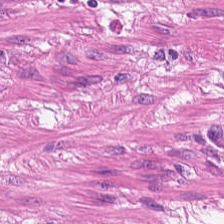Hematoxylin-and-eosin stained section.
Q: What is the predominant tissue type?
A: This is smooth muscle.
